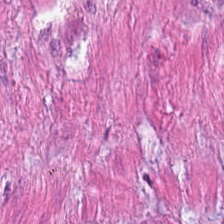224×224 px tile · hematoxylin-and-eosin stained section. This patch shows smooth-muscle tissue.
